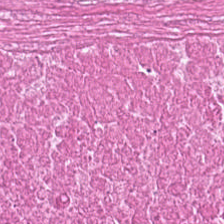Hematoxylin-and-eosin stained section. Q: What tissue type is shown here?
A: Necrotic debris.
